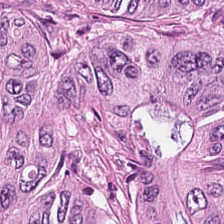FFPE · H&E-stained tissue section — Predominantly colorectal adenocarcinoma.
